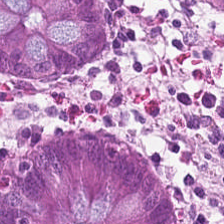FFPE tissue section · H&E-stained tissue section — Q: What tissue type is shown here?
A: This is benign colonic mucosa.
